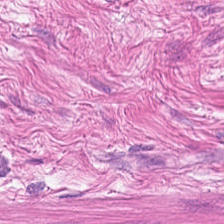The tissue class is smooth-muscle tissue.
